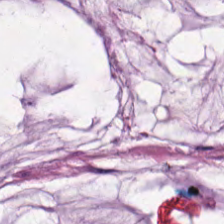Stain: hematoxylin and eosin.
Tissue: mucin.
